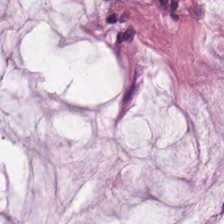H&E · 224×224 px tile.
{"tissue_type": "mucin"}
